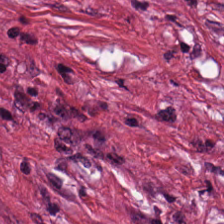Hematoxylin-and-eosin stained section. The predominant tissue is cancer-associated stroma.
